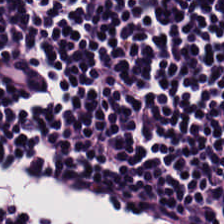The tissue type is lymphocytic infiltrate.
